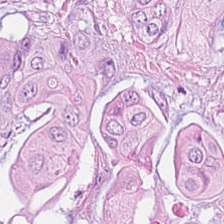Stain: hematoxylin-and-eosin stained section.
Classification: colorectal adenocarcinoma epithelium.
